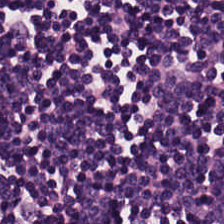Histology — lymphocytes.
